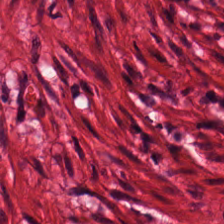Hematoxylin and eosin; 224×224 px patch — Q: What does this patch show?
A: The field shows smooth muscle.
